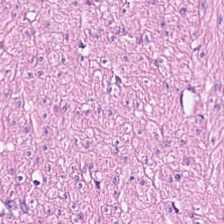H&E-stained tissue section.
Showing smooth muscle.
